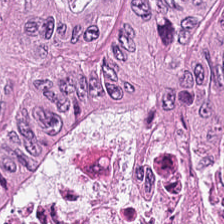H&E stain.
Q: What tissue is shown?
A: Adenocarcinoma.
